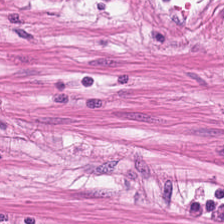Formalin-fixed paraffin-embedded section · H&E-stained tissue section.
This patch shows smooth muscle.
